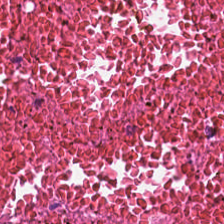H&E stain — The tissue class is necrotic debris.
